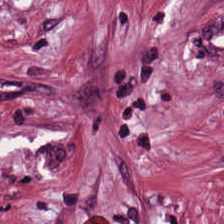Stain: H&E.
Resolution: 0.5 µm per pixel.
Tile size: 224×224 pixel tile.
Tissue class: cancer-associated stroma.
